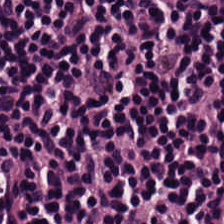H&E. Lymphocytic infiltrate.
